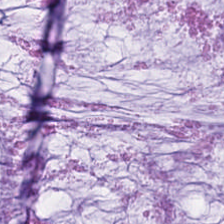Tissue class = extracellular mucin.
